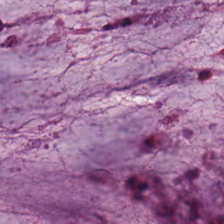Hematoxylin and eosin · 224×224 px tile · 20× equivalent magnification. Tissue class: extracellular mucin.
